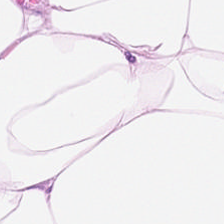This patch shows adipose.
